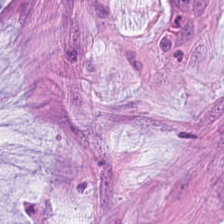H&E-stained tissue section — Showing mucin.
